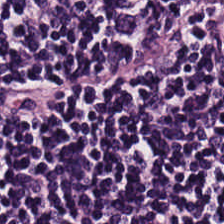Hematoxylin and eosin — Q: What is shown here?
A: This is lymphocytes.
